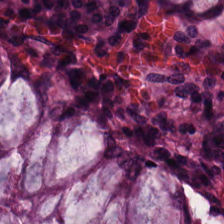Hematoxylin and eosin. Tissue class = normal colonic mucosa.
